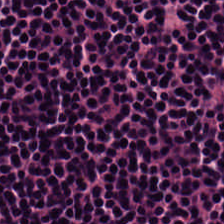Predominantly lymphocyte aggregate.
